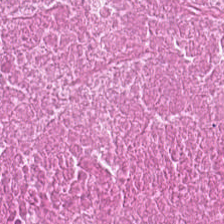Formalin-fixed paraffin-embedded section; H&E stain — Predominantly debris.
